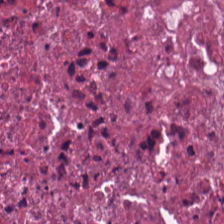H&E stain · 224×224 pixel tile. The predominant tissue is debris.
